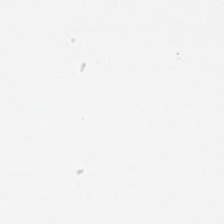0.5 µm per pixel; H&E stain. Background — no tissue in this field.
